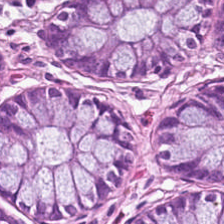H&E-stained tissue section — Tissue type = normal colon mucosa.
